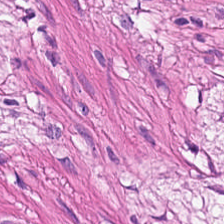Hematoxylin-and-eosin stained section.
Q: What is shown here?
A: The field shows muscularis.
